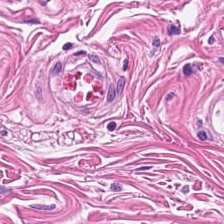224×224 pixel tile. Hematoxylin-and-eosin stained section. WSI patch.
Finding → smooth-muscle tissue.
